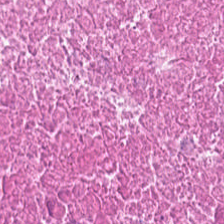WSI patch; H&E; 224×224 px tile.
This patch shows necrotic debris.
